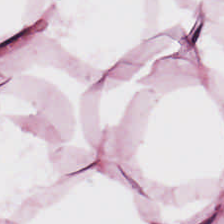H&E-stained tissue section. Predominant tissue — adipose tissue.
